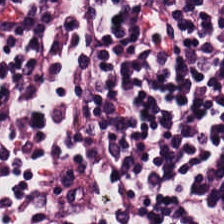Hematoxylin and eosin. The tissue here is lymphocytes.
